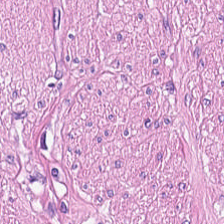H&E stain. Showing muscularis.
